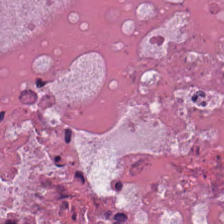Predominantly debris.
